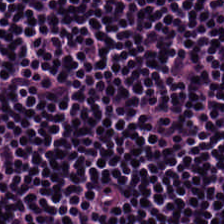Formalin-fixed paraffin-embedded section. H&E. 224×224 px patch. This patch shows lymphoid infiltrate.
